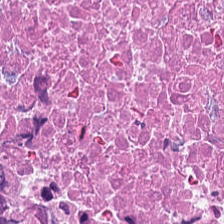Formalin-fixed paraffin-embedded section; hematoxylin-and-eosin stained section.
Histology — necrotic debris.
